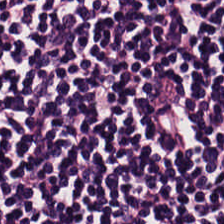H&E-stained tissue section; 0.5 µm/px. Predominant tissue: lymphoid infiltrate.
